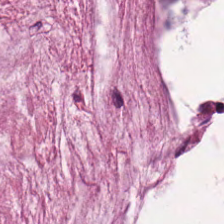The predominant tissue is mucus.
